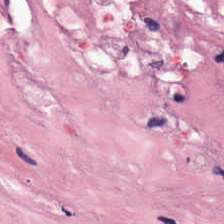Hematoxylin-and-eosin stained section.
Histology — tumor stroma.
